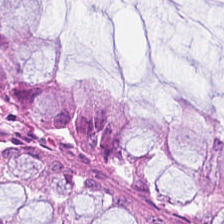Q: What is shown here?
A: The field shows normal colonic mucosa.
